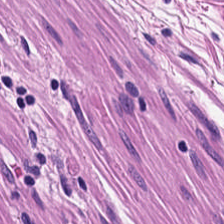Q: Identify the tissue.
A: Smooth-muscle tissue.
